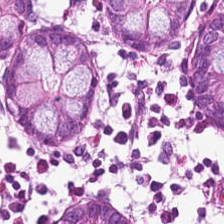Formalin-fixed paraffin-embedded section. Whole-slide-image patch. H&E-stained tissue section — Predominant tissue — normal colon mucosa.
